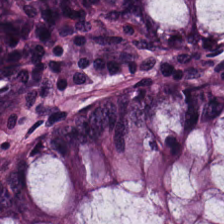Stain: H&E-stained tissue section.
Classification: non-neoplastic colon mucosa.
